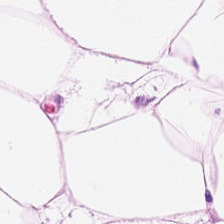Hematoxylin and eosin; FFPE tissue section. Tissue — adipocytes.
